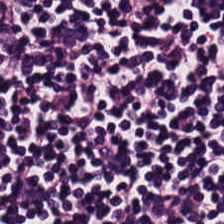Hematoxylin and eosin · WSI patch.
Predominant tissue = lymphocyte aggregate.
